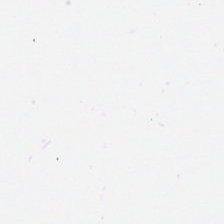Classification: empty background.
